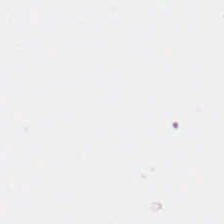Whole-slide-image patch · FFPE · H&E stain — Background.
